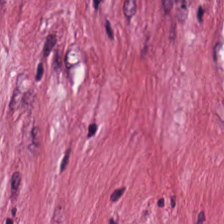{"tissue_type": "tumor stroma"}
